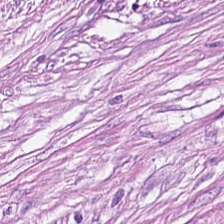Stain: H&E-stained tissue section.
Resolution: 20× equivalent magnification.
Predominant tissue: cancer-associated stroma.
